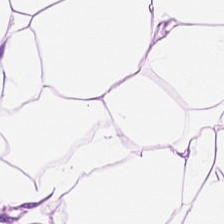Fat tissue.
